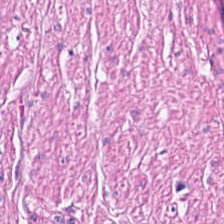Hematoxylin-and-eosin stained section. Brightfield microscopy. 224×224 px tile — Q: What type of tissue is this?
A: It is smooth-muscle tissue.
